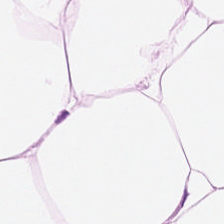Tissue: adipose.
